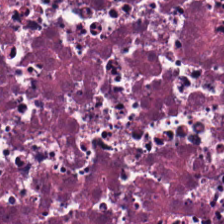Hematoxylin-and-eosin stained section.
{"tissue_type": "cellular debris"}
